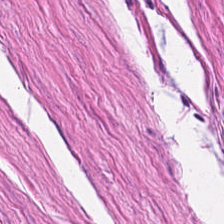Predominantly muscularis.
